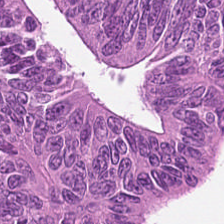H&E.
Showing malignant epithelium.
